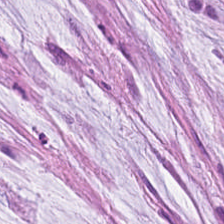Stain: H&E-stained tissue section.
Tissue: mucus.
